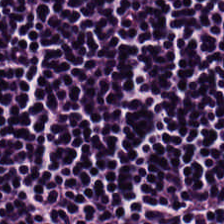Tissue type = lymphocytic infiltrate.
